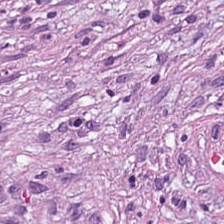Q: What is the predominant tissue type?
A: This is cancer-associated stroma.
